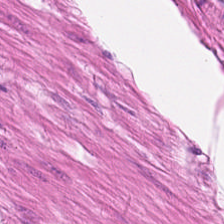Hematoxylin and eosin; 0.5 microns per pixel; brightfield. Predominantly smooth muscle.
